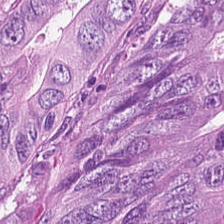Whole-slide-image patch; H&E — Histology — colorectal adenocarcinoma epithelium.
